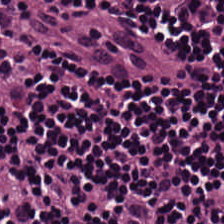Hematoxylin and eosin — Q: What is shown in this field?
A: This is lymphocytes.
